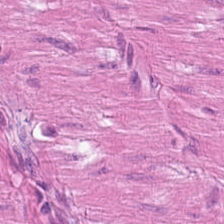Hematoxylin-and-eosin stained section · brightfield microscopy · formalin-fixed paraffin-embedded section. This field is smooth muscle.
